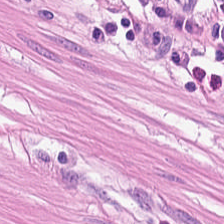Formalin-fixed paraffin-embedded section · H&E stain. The predominant tissue is smooth muscle.
